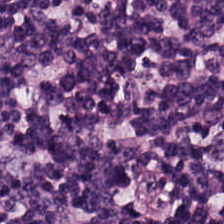Stain: H&E-stained tissue section.
Tissue type: lymphocytic infiltrate.
